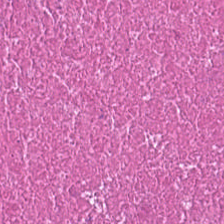FFPE tissue section · H&E stain. The predominant tissue is necrotic debris.
